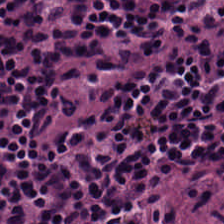Q: What is shown here?
A: It is lymphocytes.
